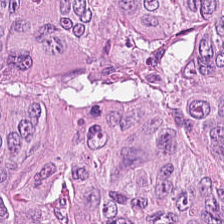H&E-stained tissue section.
Q: What tissue type is shown here?
A: The field shows colorectal adenocarcinoma.
